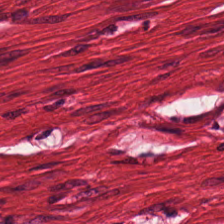H&E-stained tissue section. The predominant tissue is smooth muscle.
